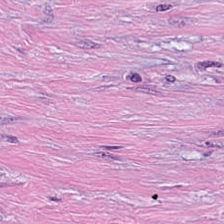Showing tumor stroma.
